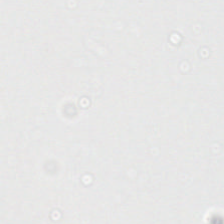Stain: hematoxylin and eosin.
Content: empty background.
